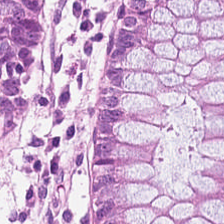0.5 microns per pixel. Hematoxylin-and-eosin stained section — {"tissue_type": "non-neoplastic colon mucosa"}
